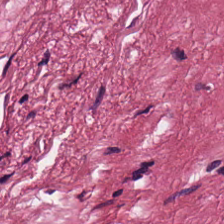0.5 microns per pixel; formalin-fixed paraffin-embedded section; hematoxylin and eosin. This patch shows desmoplastic stroma.
